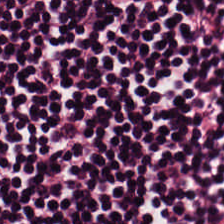Hematoxylin and eosin · brightfield microscopy · 0.5 microns per pixel.
Showing lymphocytic infiltrate.
